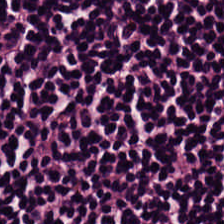Predominantly lymphocytic infiltrate.
